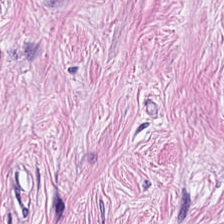Hematoxylin-and-eosin stained section. {"tissue_type": "desmoplastic stroma"}
